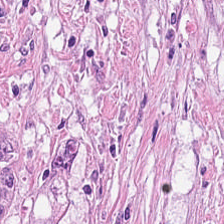Whole-slide-image patch · hematoxylin-and-eosin stained section · 0.5 microns per pixel. The predominant tissue is cancer-associated stroma.
